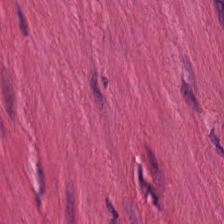Hematoxylin and eosin. Finding → smooth-muscle tissue.
